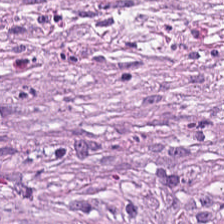H&E-stained tissue section. 224×224 pixel tile. Brightfield microscopy. Q: What type of tissue is this?
A: This is desmoplastic stroma.
